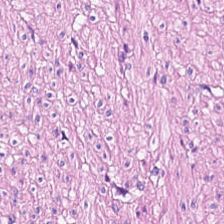{"tissue_type": "smooth-muscle tissue"}
